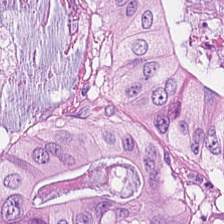H&E-stained tissue section; 0.5 microns per pixel. Q: What does this patch show?
A: It is malignant epithelium.
